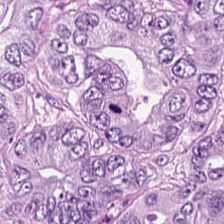H&E-stained tissue section. Showing adenocarcinoma.
